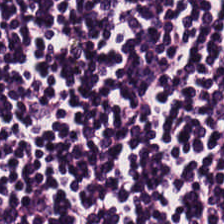H&E-stained tissue section. Q: What tissue is shown?
A: Lymphoid infiltrate.
